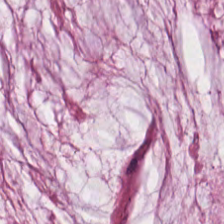Stain: hematoxylin and eosin.
Resolution: 0.5 µm/px.
Tissue class: extracellular mucin.
